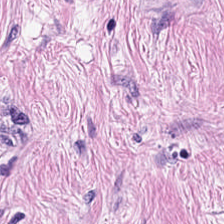Stain: H&E.
Tissue class: cancer-associated stroma.
